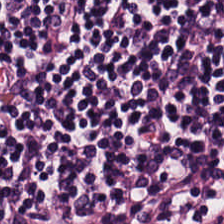H&E.
This field is lymphoid infiltrate.
